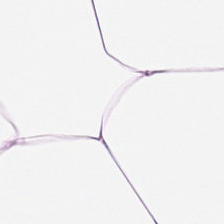Hematoxylin and eosin.
The tissue is adipocytes.
